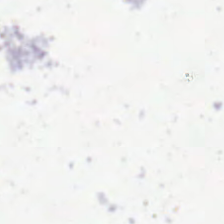H&E-stained tissue section — Impression — background.
